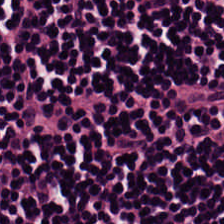H&E-stained tissue section; FFPE tissue section; whole-slide-image patch.
{"tissue_type": "lymphoid infiltrate"}
